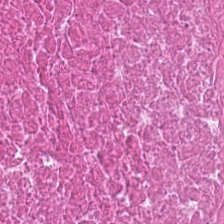FFPE; WSI patch; H&E. The predominant tissue is cellular debris.
